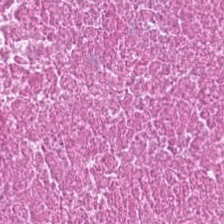The tissue type is necrotic debris.
